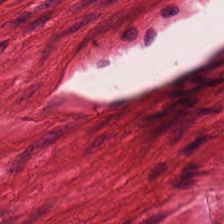Tissue = muscularis.
